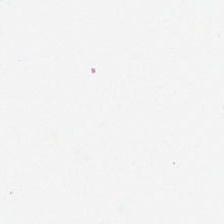Stain: hematoxylin-and-eosin stained section.
Tile size: 224×224 px patch.
Classification: empty background.
